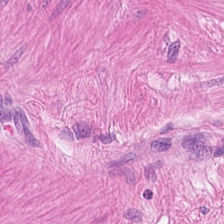H&E stain.
This field is smooth-muscle tissue.
